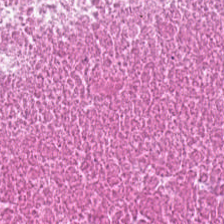Q: What type of tissue is this?
A: This is necrotic debris.
